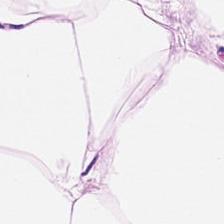Hematoxylin-and-eosin stained section.
Classification = adipose.
